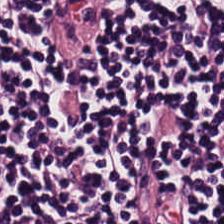H&E stain. Finding → lymphoid infiltrate.
